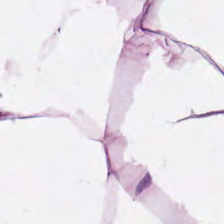Hematoxylin-and-eosin stained section · 0.5 µm per pixel — This field is adipose tissue.
